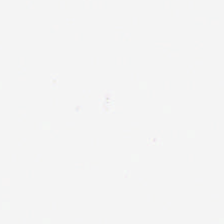Hematoxylin and eosin — This field is background (no tissue).
